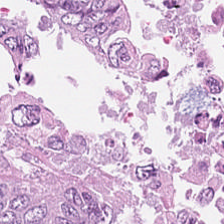Stain: H&E.
Classification: adenocarcinoma.
